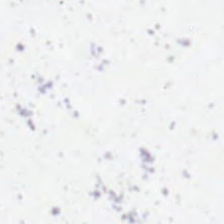224×224 pixel tile. FFPE. H&E stain — Classification — empty background.
